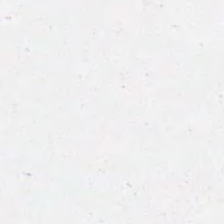Stain: hematoxylin-and-eosin stained section.
Content: no tissue.
